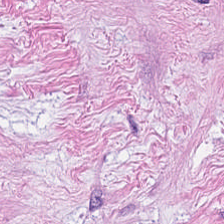This field is tumor-associated stroma.
